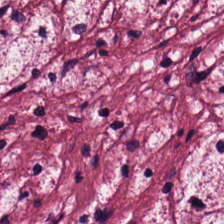Hematoxylin-and-eosin stained section. This field is tumor-associated stroma.
